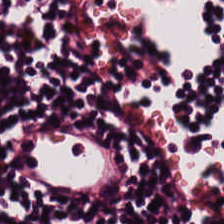224×224 px tile; hematoxylin and eosin. Impression — lymphoid infiltrate.
